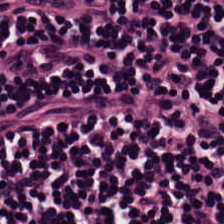H&E-stained tissue section — The tissue type is lymphoid infiltrate.
